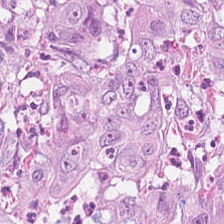Stain: H&E-stained tissue section.
Tissue: colorectal adenocarcinoma.
